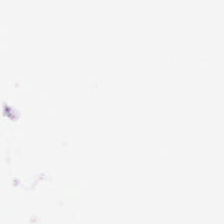Hematoxylin-and-eosin stained section.
Background (no tissue).
